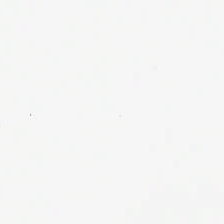Hematoxylin and eosin; 0.5 µm/px — Empty field — no tissue.
